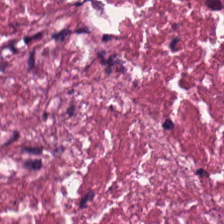FFPE; H&E-stained tissue section — Classification: debris.
